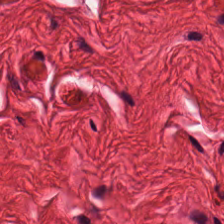Hematoxylin-and-eosin stained section.
The predominant tissue is muscularis.
